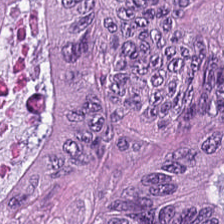Hematoxylin-and-eosin stained section.
Q: What is shown here?
A: This is malignant epithelium.
